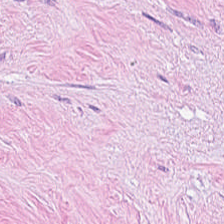Predominantly tumor-associated stroma.
